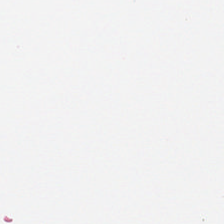Finding → empty background.
